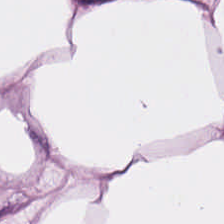Q: What tissue type is shown here?
A: It is adipose.
